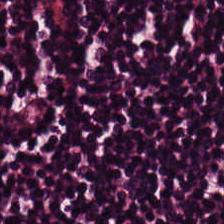This patch shows lymphocytes.
